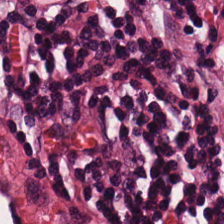H&E stain — This patch shows tumor-associated stroma.
